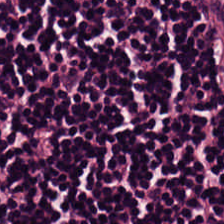H&E patch showing lymphocytes.
